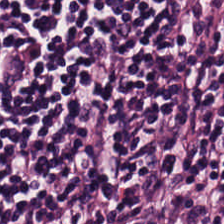H&E-stained tissue section. Impression — lymphocyte aggregate.
